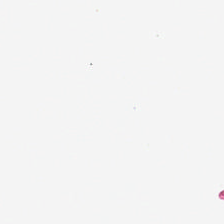Stain: hematoxylin and eosin.
Resolution: 20× equivalent magnification.
Tile size: 224×224 px patch.
Field content: empty background.
